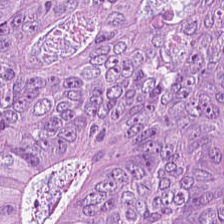Hematoxylin-and-eosin stained section.
Finding → colorectal adenocarcinoma.
